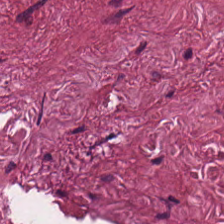Hematoxylin-and-eosin section: tumor-associated stroma.
